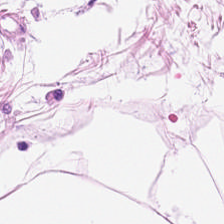Stain: hematoxylin-and-eosin stained section.
Tissue: adipose.
